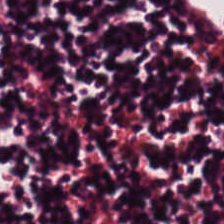Stain: H&E stain.
Tile size: 224×224 px patch.
Tissue class: lymphoid infiltrate.
